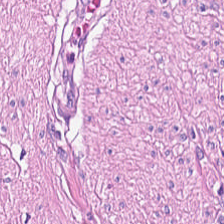The tissue here is muscularis.
